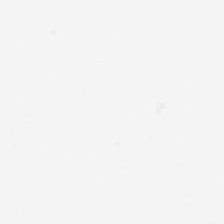This field is background (no tissue).
